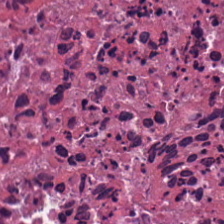Brightfield · hematoxylin-and-eosin stained section — Debris.
